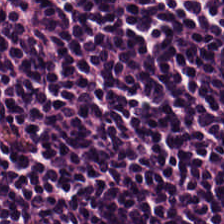Stain: H&E.
Classification: lymphocytic infiltrate.
